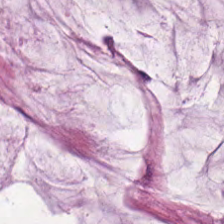224×224 px tile · hematoxylin and eosin — Predominant tissue: extracellular mucin.
